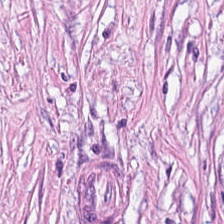0.5 µm per pixel. Hematoxylin and eosin.
Q: Identify the tissue.
A: It is tumor stroma.
